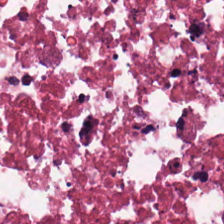H&E-stained tissue section. Q: What type of tissue is this?
A: Cellular debris.
